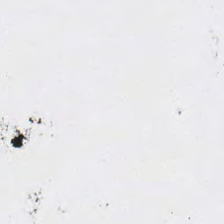H&E stain; whole-slide-image patch; 0.5 µm per pixel — Field content: background (no tissue).
